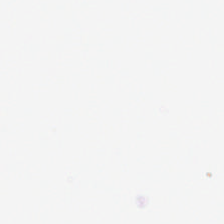Q: What does this patch show?
A: It is background (no tissue).
